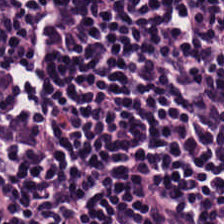Classification — lymphocyte aggregate.
